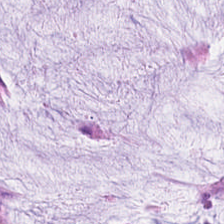H&E stain — The tissue type is extracellular mucin.
